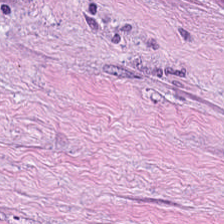This patch shows tumor stroma.
